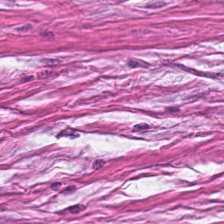Hematoxylin-and-eosin stained section.
Q: What tissue is shown?
A: Tumor stroma.
